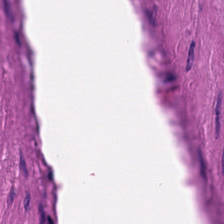Formalin-fixed paraffin-embedded section. H&E-stained tissue section. Brightfield microscopy.
This field is smooth-muscle tissue.
